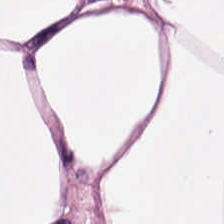FFPE tissue section · hematoxylin and eosin — The tissue here is adipocytes.
